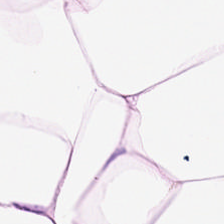224×224 px tile. FFPE tissue section. H&E. This patch shows adipocytes.
